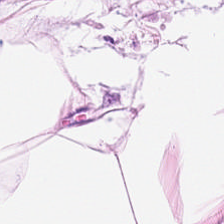The tissue here is adipocytes.
